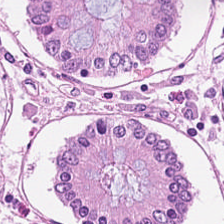WSI patch; FFPE tissue section; H&E stain.
The tissue class is benign colonic mucosa.
